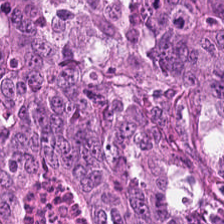Q: What is shown here?
A: The field shows colorectal adenocarcinoma.
